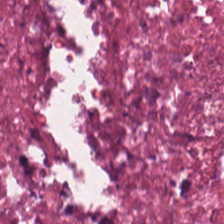224×224 px tile · hematoxylin-and-eosin stained section · brightfield microscopy.
Histology → debris.
